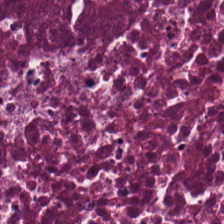Whole-slide-image patch. Formalin-fixed paraffin-embedded section. Hematoxylin-and-eosin stained section — Tissue class: cellular debris.
